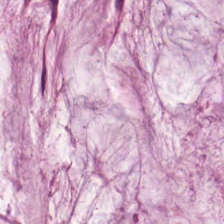Hematoxylin-and-eosin stained section · brightfield — Predominantly mucus.
